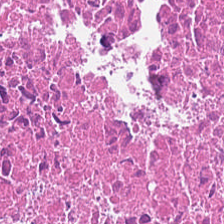Hematoxylin and eosin · FFPE. Q: What is shown here?
A: It is cellular debris.
